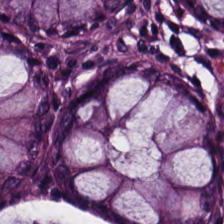FFPE tissue section. Hematoxylin and eosin. Brightfield microscopy.
Benign colonic mucosa.
